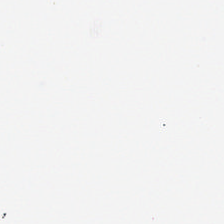Stain: hematoxylin-and-eosin stained section.
Content: background (no tissue).
